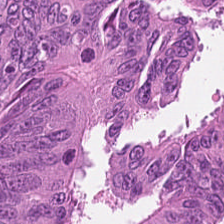Hematoxylin-and-eosin stained section · FFPE tissue section — This patch shows adenocarcinoma.
